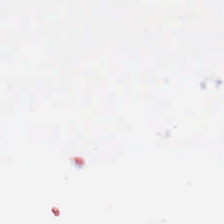H&E stain — Field content — background.
